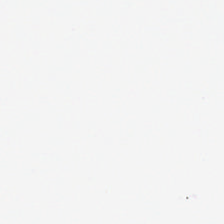Hematoxylin and eosin; brightfield; 0.5 µm per pixel. Q: What is shown in this field?
A: The field shows no tissue.
